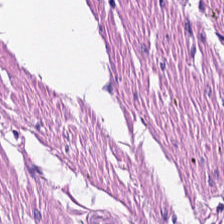Tissue — smooth-muscle tissue.
